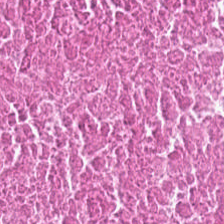H&E-stained section; the field shows cellular debris.
